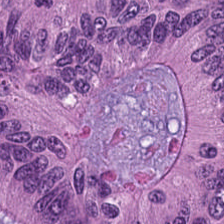20× equivalent magnification · H&E stain. Showing colorectal adenocarcinoma epithelium.
